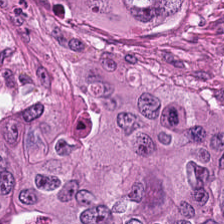0.5 microns per pixel. FFPE. H&E-stained tissue section.
This field is tumor epithelium.
